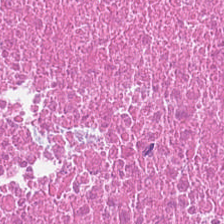224×224 px patch; hematoxylin-and-eosin stained section. This patch shows necrotic debris.
